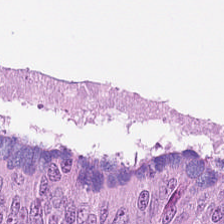Hematoxylin and eosin. Formalin-fixed paraffin-embedded section.
Showing colorectal adenocarcinoma.
